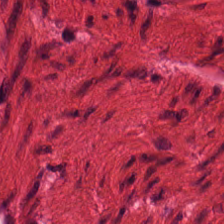Stain: H&E stain.
Tissue: smooth muscle.
